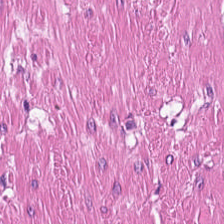Hematoxylin-and-eosin stained section.
Q: What tissue is shown?
A: It is smooth-muscle tissue.
